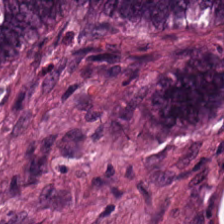Tissue type = adenocarcinoma.
